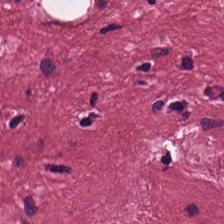Hematoxylin-and-eosin stained section — {"tissue_type": "cancer-associated stroma"}
